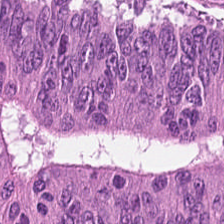H&E. Brightfield.
Tissue class: tumor epithelium.
